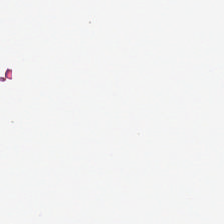Background — no tissue in this field.
